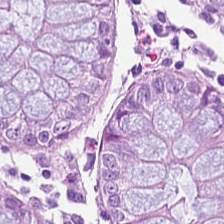This patch shows normal colon mucosa.
